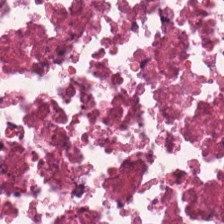Tissue — necrotic debris.
